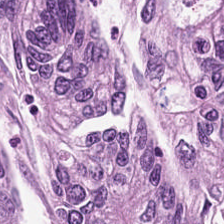The tissue type is colorectal adenocarcinoma.
